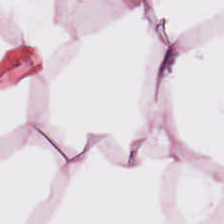224×224 pixel tile · H&E-stained tissue section.
Q: What does this patch show?
A: Adipocytes.
